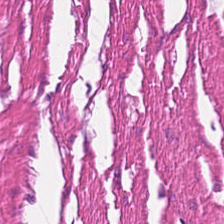The predominant tissue is smooth muscle.
